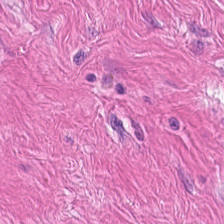{"tissue_type": "muscularis"}
